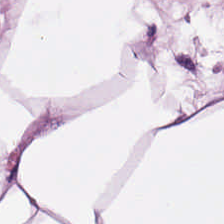Hematoxylin and eosin. 0.5 µm per pixel — This patch shows adipocytes.
